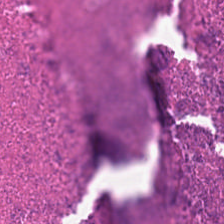224×224 pixel tile. H&E-stained tissue section. Necrotic debris.
